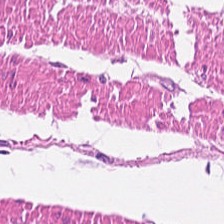Stain: H&E stain.
Acquisition: brightfield.
Tissue class: smooth muscle.
